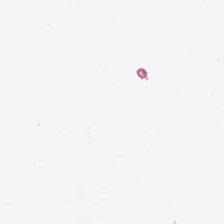Hematoxylin-and-eosin stained section.
{"content": "empty background"}
